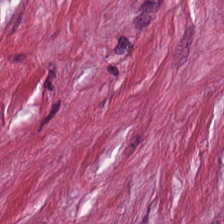H&E-stained tissue section showing desmoplastic stroma.
